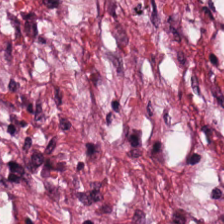Showing tumor-associated stroma.
